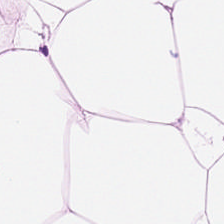Stain: H&E.
Tissue type: adipose tissue.
